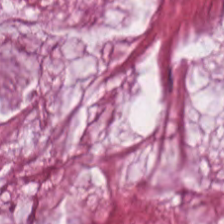Hematoxylin and eosin — Classification = extracellular mucin.
